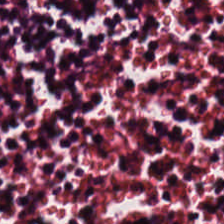Hematoxylin-and-eosin stained section · FFPE · 0.5 µm per pixel. Q: What tissue is shown?
A: The field shows lymphocytic infiltrate.
